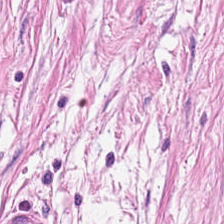Stain: H&E-stained tissue section.
Tissue class: cancer-associated stroma.
